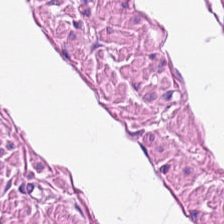Smooth muscle.
